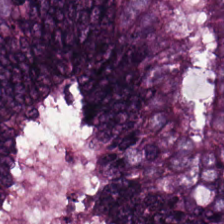H&E-stained tissue section; brightfield — Q: What does this patch show?
A: Tumor epithelium.
